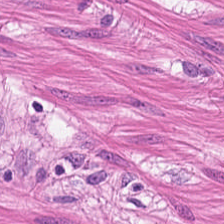Finding → smooth-muscle tissue.
